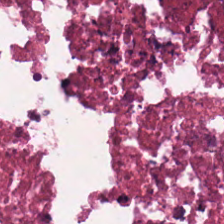H&E. Predominantly necrotic debris.
